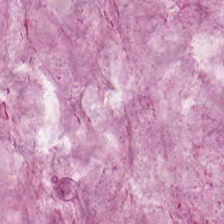H&E stain.
Classification = mucin.
